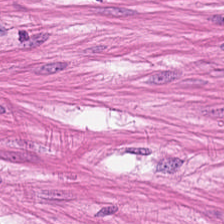H&E-stained tissue section. Formalin-fixed paraffin-embedded section. This patch shows muscularis.
